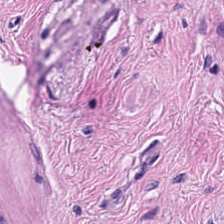Stain: H&E stain.
Preparation: FFPE.
Tissue class: muscularis.
